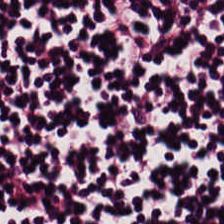Q: What is shown here?
A: This is lymphocytes.
